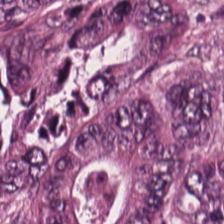224×224 pixel tile · H&E stain. This patch shows malignant epithelium.
